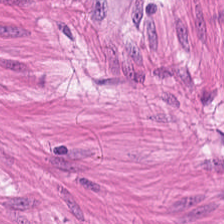Hematoxylin-and-eosin stained section — Classification — muscularis.
